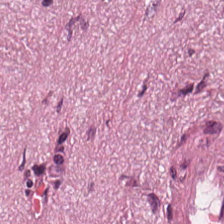224×224 pixel tile; H&E-stained tissue section — This field is desmoplastic stroma.
